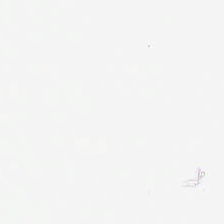H&E stain. 224×224 px patch. The field content is background (no tissue).
